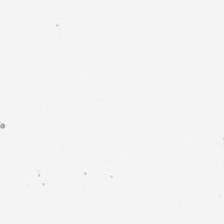{"content": "background"}
